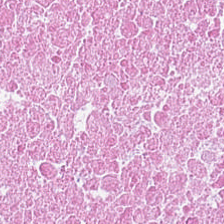Stain: hematoxylin-and-eosin stained section.
Classification: necrotic debris.
